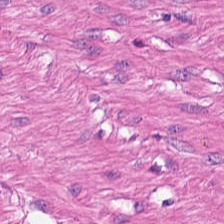224×224 px patch; hematoxylin and eosin. {"tissue_type": "smooth-muscle tissue"}
